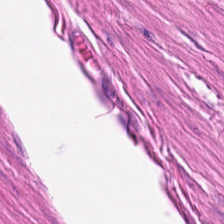224×224 pixel tile. FFPE. H&E.
Tissue = smooth muscle.
